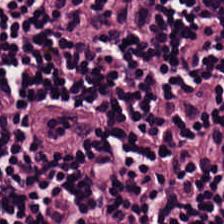224×224 px tile; H&E-stained tissue section; 0.5 microns per pixel.
Showing lymphocytic infiltrate.
